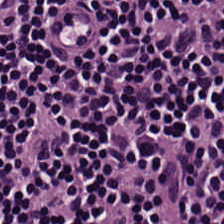Histology — lymphocyte aggregate.
